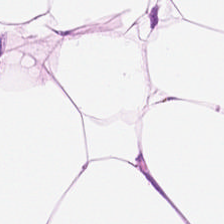WSI patch · H&E-stained tissue section — Showing adipose tissue.
